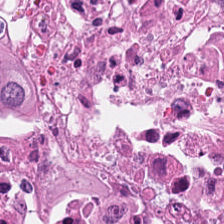224×224 pixel tile; WSI patch; hematoxylin-and-eosin stained section.
Showing debris.
